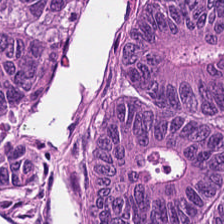Hematoxylin-and-eosin stained section — Q: What tissue is shown?
A: This is adenocarcinoma.
